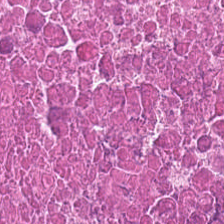Hematoxylin and eosin.
Q: What is shown here?
A: The field shows necrotic debris.
